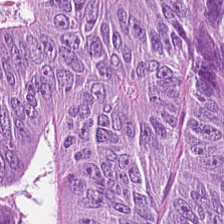Hematoxylin-and-eosin stained section. Tissue = colorectal adenocarcinoma epithelium.
